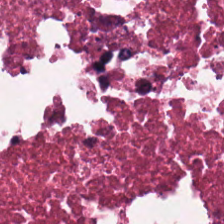Hematoxylin-and-eosin stained section · FFPE — Debris.
